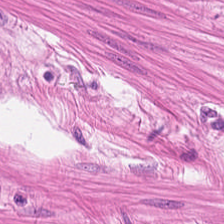Tissue type = smooth muscle.
